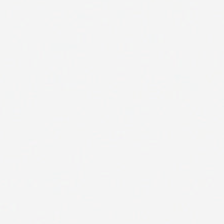224×224 px patch; brightfield microscopy; H&E-stained tissue section.
{"content": "background"}
